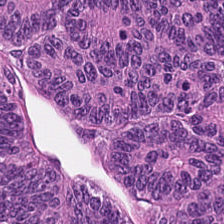Predominant tissue — tumor epithelium.
